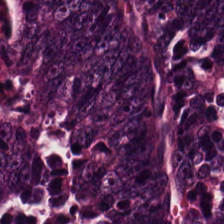0.5 microns per pixel; H&E stain; formalin-fixed paraffin-embedded section. Tissue type = colorectal adenocarcinoma.
